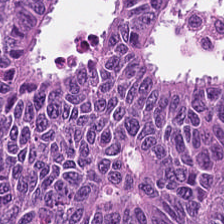WSI patch; H&E; 224×224 pixel tile — Impression → adenocarcinoma.
